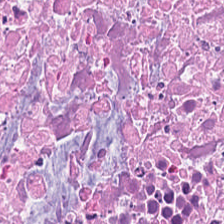H&E-stained section; the field shows debris.
